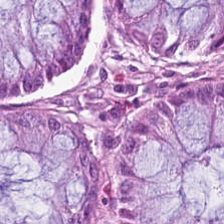Stain: hematoxylin-and-eosin stained section.
Acquisition: brightfield.
Resolution: 0.5 µm/px.
Tissue class: non-neoplastic colon mucosa.
